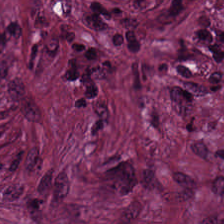This patch shows tumor-associated stroma.
